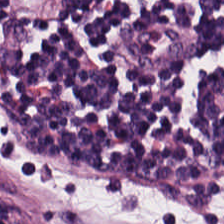H&E-stained tissue section. The predominant tissue is lymphocyte aggregate.
